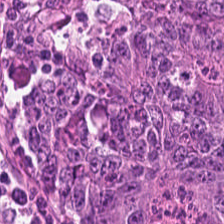The classification is adenocarcinoma.
